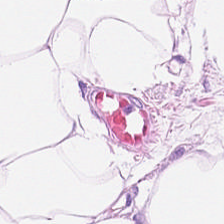H&E-stained tissue section · WSI patch. Q: What is shown here?
A: It is fat tissue.
